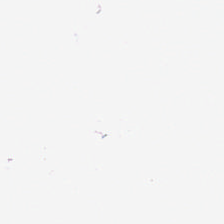The classification is background (no tissue).
